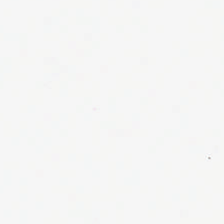Background (no tissue).
